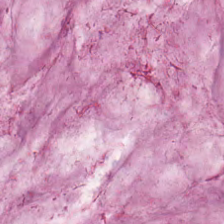Hematoxylin-and-eosin stained section; 0.5 microns per pixel.
Tissue type = mucus.
